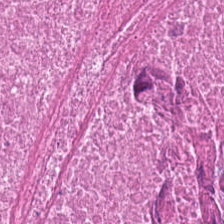Hematoxylin and eosin. Debris.
